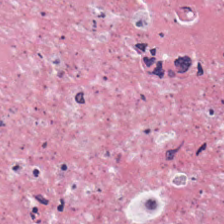Hematoxylin-and-eosin stained section.
Finding → cellular debris.
